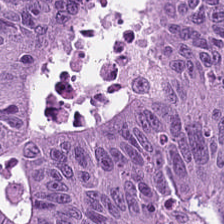H&E-stained tissue section.
Histology — malignant epithelium.
